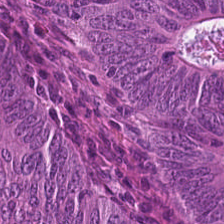H&E stain — Q: What is the predominant tissue type?
A: The field shows colorectal adenocarcinoma epithelium.
